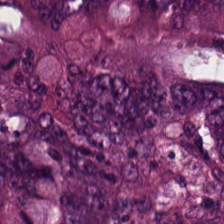FFPE tissue section. Hematoxylin-and-eosin stained section. The predominant tissue is colorectal adenocarcinoma.
